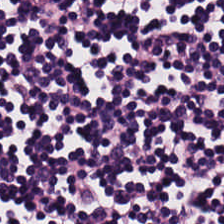H&E. 0.5 µm/px.
Predominantly lymphocytes.
